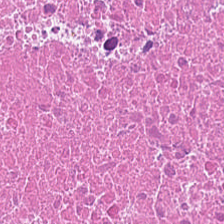This patch shows cellular debris.
